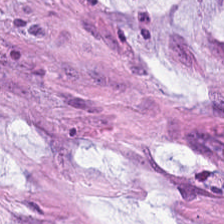Hematoxylin and eosin · FFPE tissue section.
Q: What tissue is shown?
A: Mucus.
